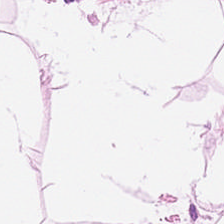Hematoxylin-and-eosin stained section. Predominantly fat tissue.
